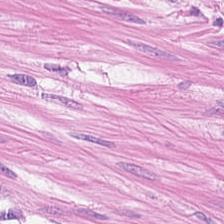H&E stain — This field is smooth-muscle tissue.
